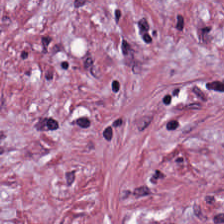H&E-stained tissue section. {"tissue_type": "tumor stroma"}
